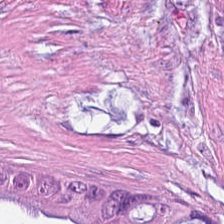Stain: H&E.
Resolution: 20× equivalent magnification.
Predominant tissue: mucin.
